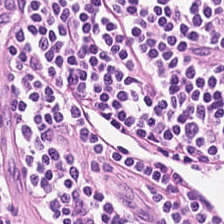Lymphocytic infiltrate.
